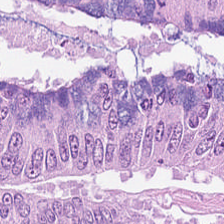Brightfield; hematoxylin and eosin. This field is colorectal adenocarcinoma epithelium.
